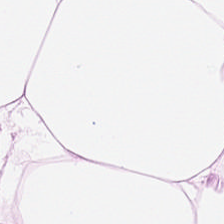Showing adipose tissue.
